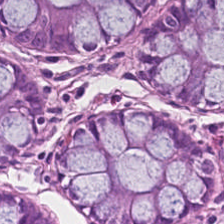224×224 pixel tile · H&E-stained tissue section — Q: Identify the tissue.
A: The field shows normal colonic mucosa.
